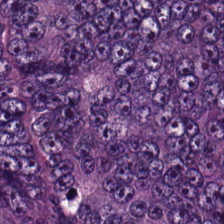This patch shows adenocarcinoma.
